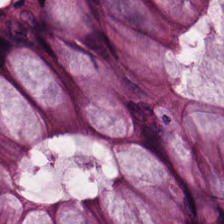H&E stain; brightfield.
Q: What tissue is shown?
A: Benign colonic mucosa.
